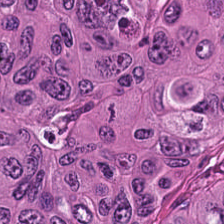H&E stain · 224×224 pixel tile.
Predominantly tumor epithelium.
